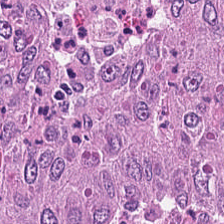H&E stain. 0.5 µm per pixel. FFPE — Tumor epithelium.
